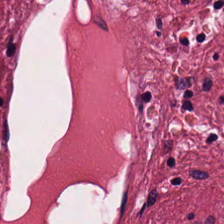Hematoxylin and eosin — The tissue here is desmoplastic stroma.
